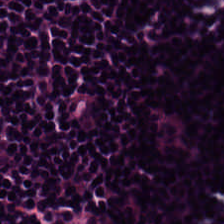H&E stain — Q: Classify this patch.
A: The field shows lymphoid infiltrate.
